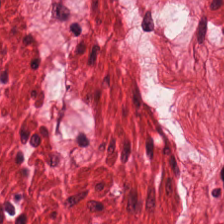Hematoxylin and eosin — The predominant tissue is smooth muscle.
